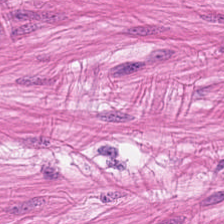0.5 microns per pixel. H&E. This field is muscularis.
